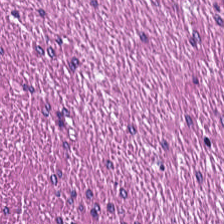The predominant tissue is smooth muscle.
